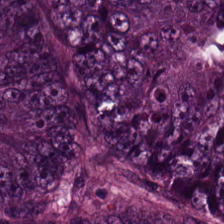The predominant tissue is colorectal adenocarcinoma.
